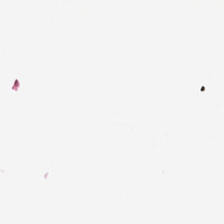H&E stain. 20× equivalent magnification.
Impression — no tissue.
